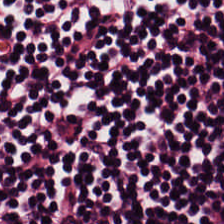Brightfield; H&E.
Q: What tissue type is shown here?
A: This is lymphocytic infiltrate.
